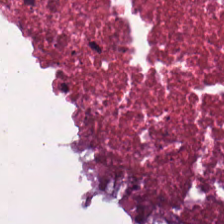H&E — Cellular debris.
